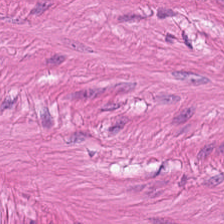Stain: hematoxylin and eosin.
Resolution: 20× equivalent magnification.
Tile size: 224×224 pixel tile.
Tissue type: smooth muscle.
